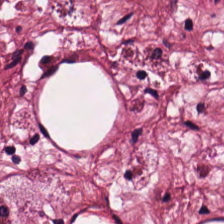H&E — Showing tumor-associated stroma.
